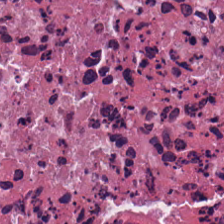H&E stain.
The predominant tissue is necrotic debris.
